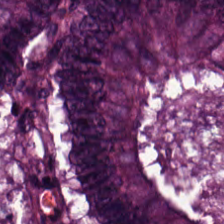FFPE · hematoxylin and eosin — Malignant epithelium.
